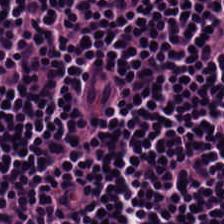Tissue = lymphocyte aggregate.
